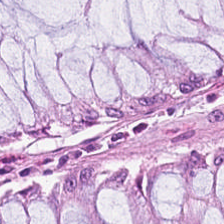H&E-stained tissue section.
Q: Identify the tissue.
A: It is normal colon mucosa.
